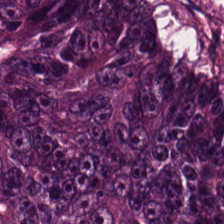H&E-stained tissue section — Classification — colorectal adenocarcinoma.
